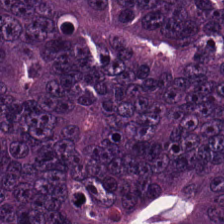H&E.
Histology — malignant epithelium.
